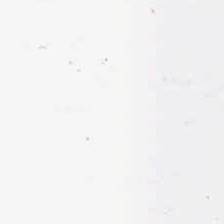The classification is background.
